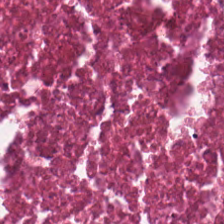0.5 µm per pixel. Hematoxylin and eosin — Tissue class = debris.
